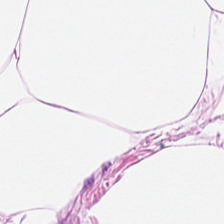Showing adipocytes.
